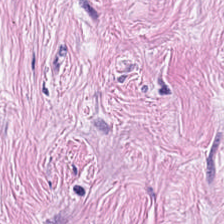Finding — desmoplastic stroma.
